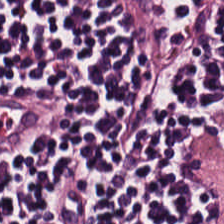H&E-stained tissue section.
The tissue here is lymphoid infiltrate.
